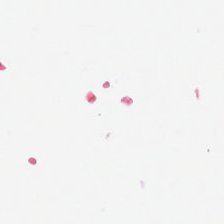Hematoxylin-and-eosin stained section; 224×224 pixel tile. No tissue present; background only.
